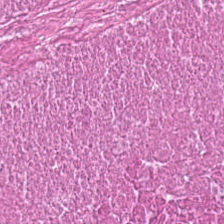This field is cellular debris.
